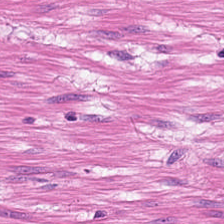Impression → smooth muscle.
